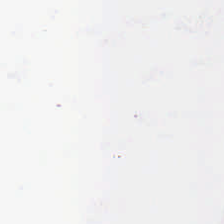FFPE; hematoxylin and eosin — This patch shows no tissue.
